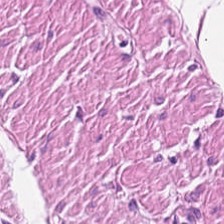H&E-stained tissue section — Finding — smooth muscle.
